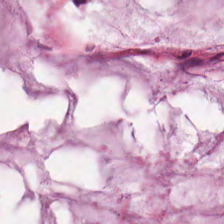H&E. {"tissue_type": "mucin"}
